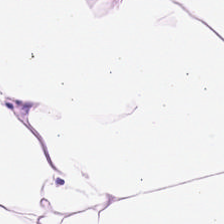H&E-stained tissue section. Classification — fat tissue.
